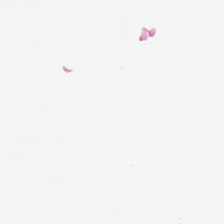H&E · formalin-fixed paraffin-embedded section · 0.5 microns per pixel.
Content — empty background.
